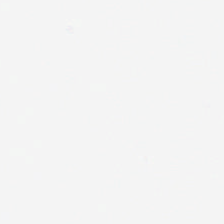H&E stain — The content is background.
